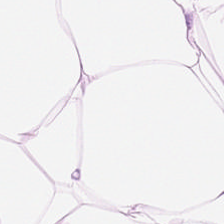Stain: hematoxylin-and-eosin stained section.
Tile size: 224×224 px tile.
Tissue: fat tissue.
